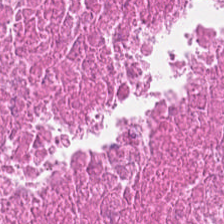H&E-stained tissue section · 224×224 pixel tile.
Q: What is the predominant tissue type?
A: This is cellular debris.
